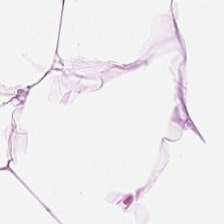H&E-stained tissue section.
Q: What tissue is shown?
A: It is adipose.
